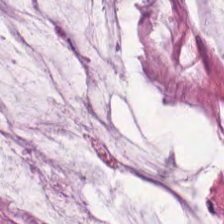Classification: extracellular mucin.
